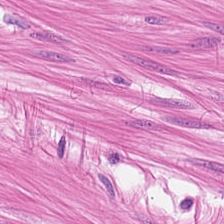Stain: H&E-stained tissue section.
Tissue: muscularis.
